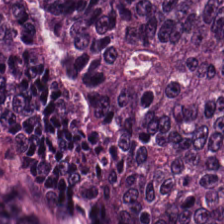Stain: hematoxylin-and-eosin stained section.
Predominant tissue: malignant epithelium.
